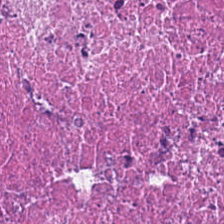Hematoxylin-and-eosin stained section. Tissue — debris.
